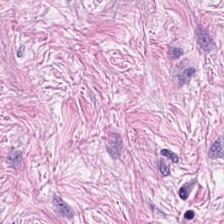{"tissue_type": "tumor stroma"}
